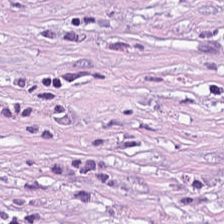Hematoxylin-and-eosin stained section; 0.5 µm per pixel — The predominant tissue is desmoplastic stroma.
